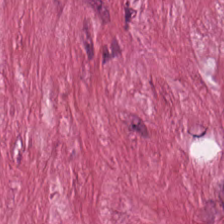Q: What tissue is shown?
A: It is tumor stroma.
